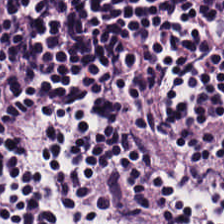Hematoxylin and eosin. Whole-slide-image patch — Q: What is shown in this field?
A: The field shows lymphocytes.
